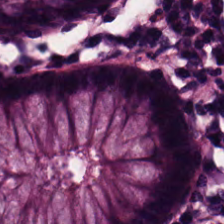Predominantly benign colonic mucosa.
